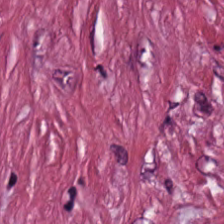Hematoxylin-and-eosin stained section — Showing desmoplastic stroma.
